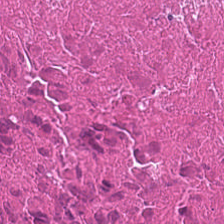Q: What is shown in this field?
A: Necrotic debris.
